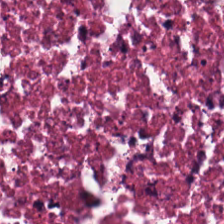Classification — cellular debris.
